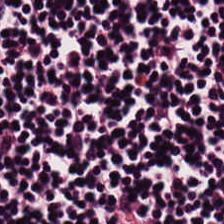The tissue here is lymphocytic infiltrate.
